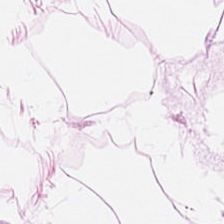Tissue type = adipose.
